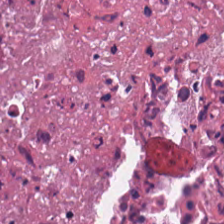H&E — necrotic debris.
